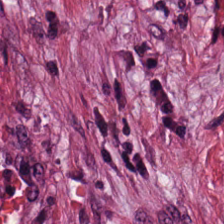H&E stain — The predominant tissue is tumor stroma.
